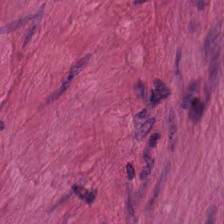Impression — smooth-muscle tissue.
